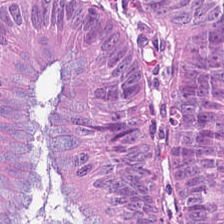H&E stain.
Classification: adenocarcinoma.
